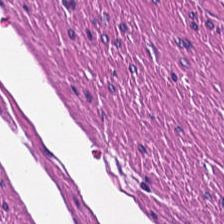Brightfield; H&E. Tissue type = smooth-muscle tissue.
